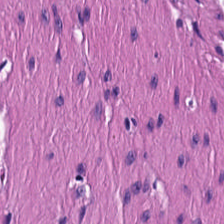Formalin-fixed paraffin-embedded section; hematoxylin-and-eosin stained section; 224×224 px patch. Histology → smooth-muscle tissue.
